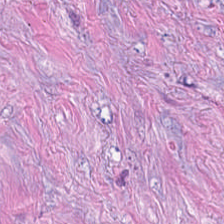Hematoxylin-and-eosin stained section · formalin-fixed paraffin-embedded section.
{"tissue_type": "desmoplastic stroma"}
